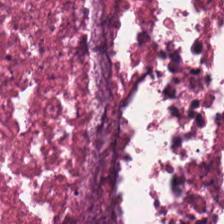H&E-stained tissue section; 224×224 px tile. The tissue type is necrotic debris.
